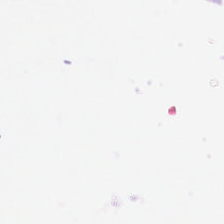Field content = empty background.
